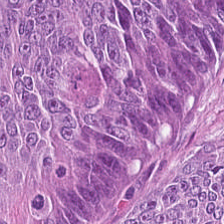Stain: H&E stain.
Tissue: colorectal adenocarcinoma epithelium.
